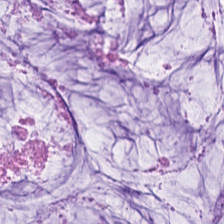FFPE tissue section · hematoxylin-and-eosin stained section.
Histology — extracellular mucin.
